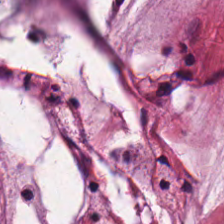This patch shows mucus.
